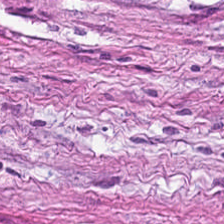H&E; brightfield microscopy — {"tissue_type": "desmoplastic stroma"}
